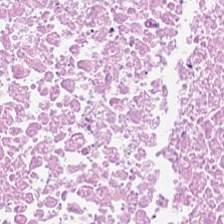H&E stain. Showing cellular debris.
